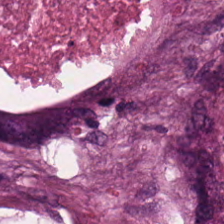Predominantly necrotic debris.
